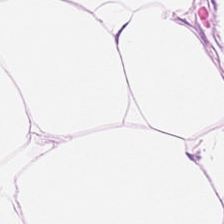Stain: H&E stain.
Predominant tissue: adipose tissue.
